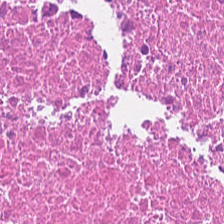Hematoxylin-and-eosin section: necrotic debris.
